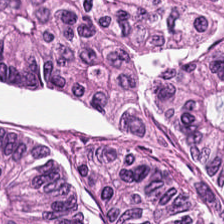Hematoxylin-and-eosin stained section. Brightfield microscopy. Formalin-fixed paraffin-embedded section. {"tissue_type": "colorectal adenocarcinoma"}
